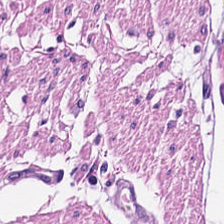224×224 pixel tile. H&E-stained tissue section. The tissue is smooth muscle.
